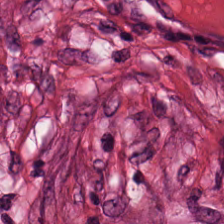H&E stain. Whole-slide-image patch. 224×224 px patch.
Desmoplastic stroma.
